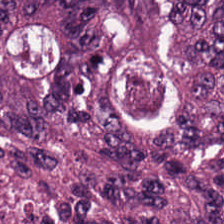224×224 pixel tile; hematoxylin-and-eosin stained section. Showing tumor epithelium.
